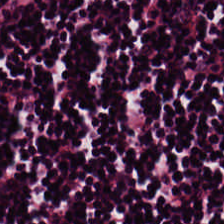H&E stain.
Tissue class = lymphoid infiltrate.
